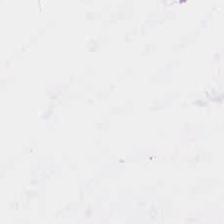{"content": "empty background"}
